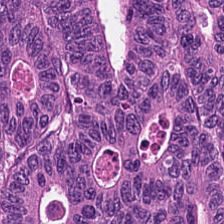Hematoxylin and eosin. 224×224 pixel tile — Q: What tissue type is shown here?
A: Adenocarcinoma.
